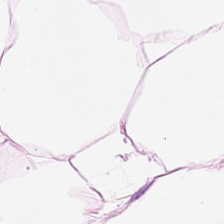Hematoxylin-and-eosin stained section. 20× equivalent magnification.
Impression — fat tissue.
